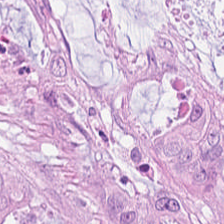Hematoxylin and eosin. Tissue class — colorectal adenocarcinoma epithelium.
